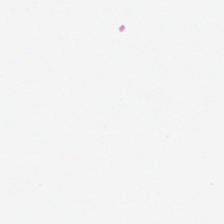H&E. 224×224 pixel tile — Content = background (no tissue).
